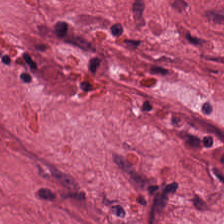H&E-stained tissue section. Q: What tissue type is shown here?
A: This is desmoplastic stroma.
